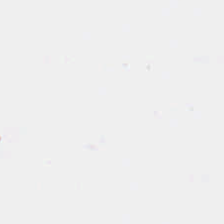Stain: hematoxylin and eosin.
Classification: background (no tissue).
